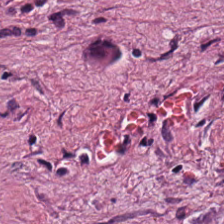0.5 µm per pixel · formalin-fixed paraffin-embedded section · hematoxylin and eosin.
The classification is desmoplastic stroma.
